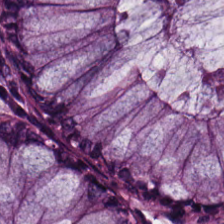Hematoxylin-and-eosin stained section.
Histology → normal colonic mucosa.
